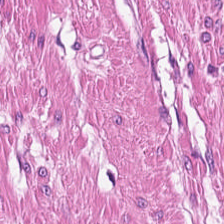Hematoxylin-and-eosin stained section. The tissue is muscularis.
